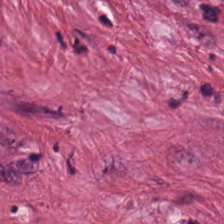H&E · 224×224 pixel tile — Tissue = desmoplastic stroma.
